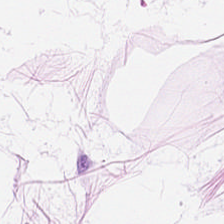20× equivalent magnification · H&E stain. Showing fat tissue.
